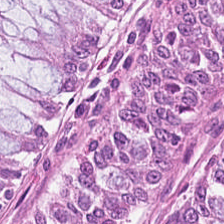H&E. WSI patch.
The predominant tissue is benign colonic mucosa.
